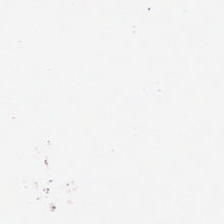H&E stain. 0.5 microns per pixel.
Background (no tissue).
